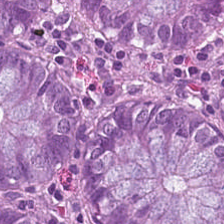Brightfield microscopy. H&E stain.
Normal colonic mucosa.
